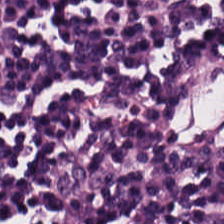{"tissue_type": "lymphoid infiltrate"}
